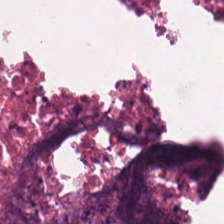Q: Identify the tissue.
A: Debris.
